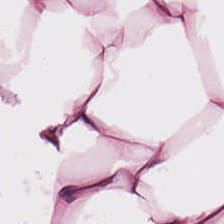0.5 µm per pixel; 224×224 px tile; H&E.
Predominantly adipocytes.
